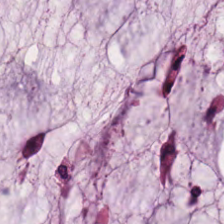Hematoxylin and eosin — Q: What is the predominant tissue type?
A: This is mucus.
